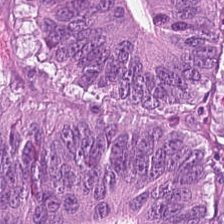H&E stain. Predominantly colorectal adenocarcinoma epithelium.
